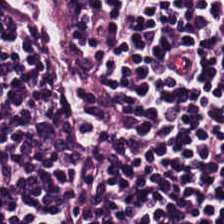Stain: H&E.
Predominant tissue: lymphocytic infiltrate.
